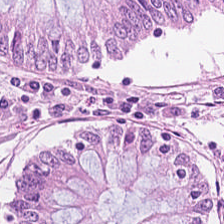H&E stain. 20× equivalent magnification — The tissue here is normal colon mucosa.
